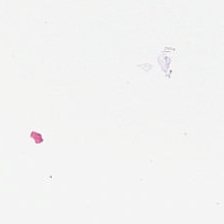Hematoxylin and eosin — Q: Classify this patch.
A: The field shows background.
